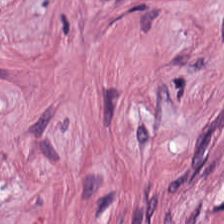20× equivalent magnification; H&E stain.
This field is tumor stroma.
